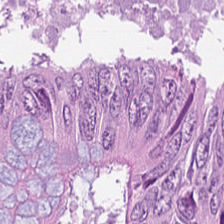H&E.
Q: What is the predominant tissue type?
A: The field shows colorectal adenocarcinoma epithelium.
